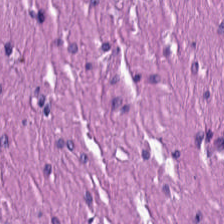H&E.
Predominant tissue = smooth muscle.
